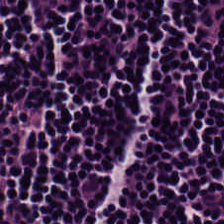Hematoxylin and eosin; FFPE. Finding → lymphocytic infiltrate.
